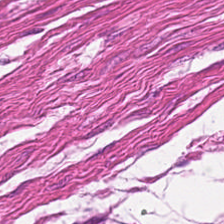Hematoxylin-and-eosin stained section. Brightfield. 0.5 µm/px. Showing muscularis.
